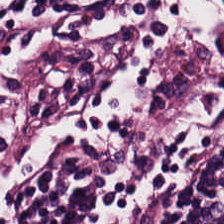Stain: hematoxylin-and-eosin stained section.
Classification: lymphocyte aggregate.
